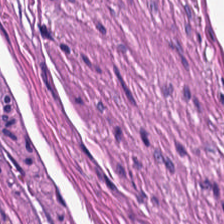FFPE. Hematoxylin-and-eosin stained section. Predominantly smooth muscle.
